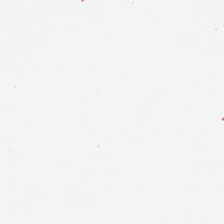224×224 px patch. H&E-stained tissue section.
Q: Classify this patch.
A: Background.
